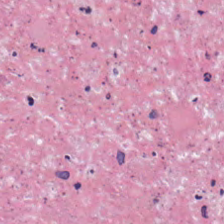0.5 microns per pixel; H&E stain — The tissue here is necrotic debris.
